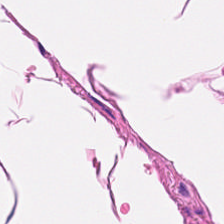This patch shows smooth-muscle tissue.
